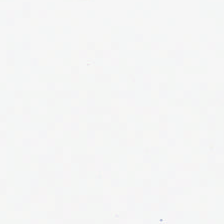Stain: hematoxylin-and-eosin stained section.
Content: background.
